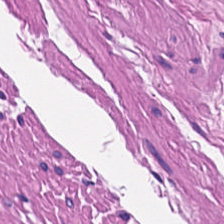H&E stain. FFPE tissue section.
Q: What is the predominant tissue type?
A: This is smooth-muscle tissue.
